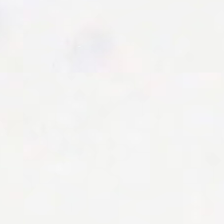Hematoxylin-and-eosin stained section · FFPE — Q: Classify this patch.
A: It is no tissue.
